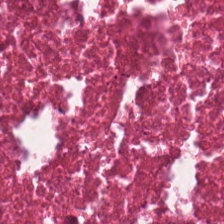Tissue class — debris.
